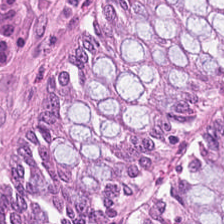Hematoxylin and eosin.
This field is normal colonic mucosa.
